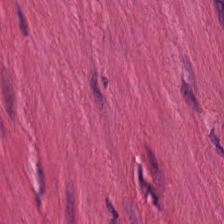Classification: muscularis.
